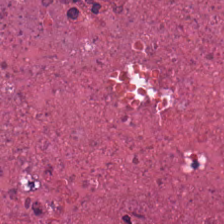Hematoxylin and eosin. Q: What does this patch show?
A: Cellular debris.
